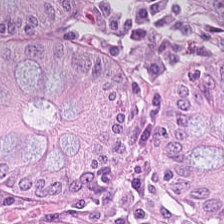Stain: hematoxylin-and-eosin stained section.
Tissue type: normal colon mucosa.
